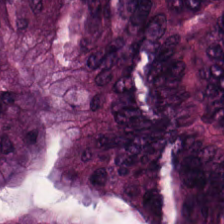Tissue — colorectal adenocarcinoma.
